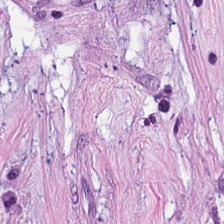0.5 µm per pixel. Hematoxylin-and-eosin stained section. Whole-slide-image patch.
Q: What tissue type is shown here?
A: It is desmoplastic stroma.
